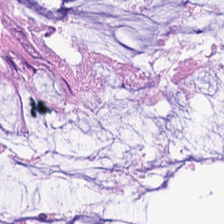224×224 px tile; hematoxylin and eosin. Finding → normal colon mucosa.
